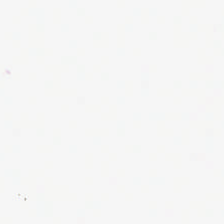Field content: background.
